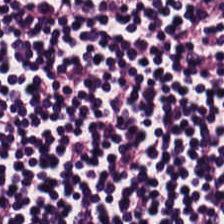Stain: hematoxylin and eosin.
Tile size: 224×224 px patch.
Preparation: formalin-fixed paraffin-embedded section.
Predominant tissue: lymphocytic infiltrate.
